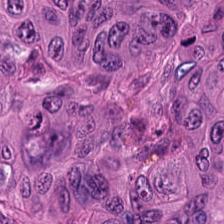H&E-stained tissue section · 224×224 px tile.
Malignant epithelium.
